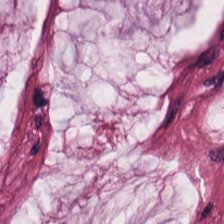Stain: H&E stain.
Preparation: formalin-fixed paraffin-embedded section.
Tissue type: mucus.
